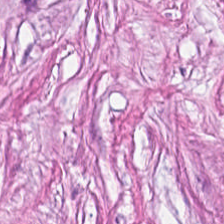Tissue = tumor stroma.
